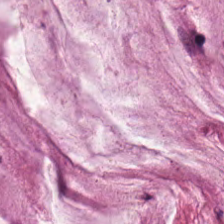Hematoxylin-and-eosin stained section. 224×224 px tile — Impression — mucin.
